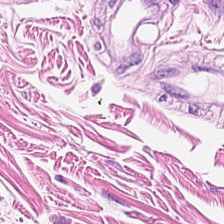Hematoxylin and eosin. 20× equivalent magnification. The classification is muscularis.
